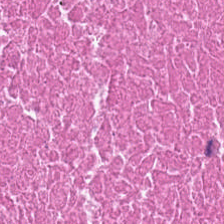Hematoxylin and eosin; FFPE tissue section.
Q: Classify this patch.
A: It is necrotic debris.
